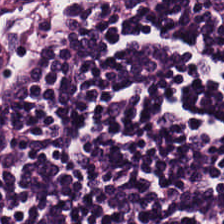Brightfield. FFPE tissue section. H&E-stained tissue section.
Q: What tissue is shown?
A: This is lymphoid infiltrate.
